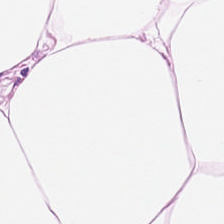H&E. 224×224 px tile. 20× equivalent magnification. This field is fat tissue.
